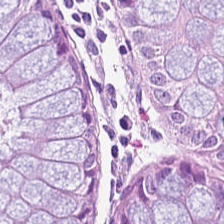WSI patch · H&E.
This field is benign colonic mucosa.
